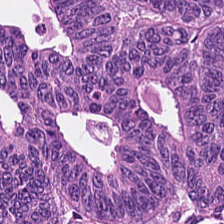H&E-stained tissue section. Tumor epithelium.
